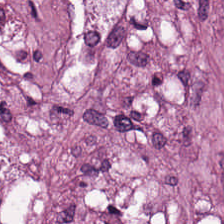Hematoxylin-and-eosin stained section. 0.5 µm/px. {"tissue_type": "desmoplastic stroma"}
